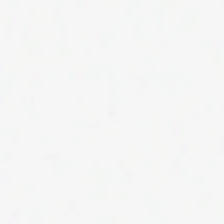224×224 px tile · 0.5 µm/px · H&E stain.
Background (no tissue).
